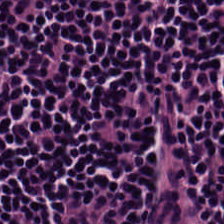Hematoxylin-and-eosin stained section — Predominantly lymphocytes.
